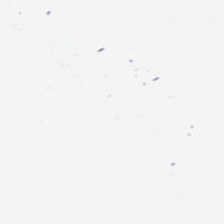0.5 microns per pixel; hematoxylin-and-eosin stained section — Histology → background.
